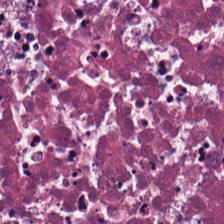H&E stain. Finding — debris.
